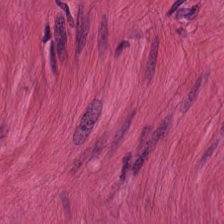Showing smooth muscle.
